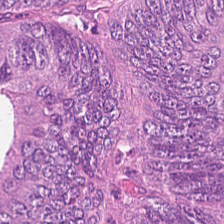Showing adenocarcinoma.
